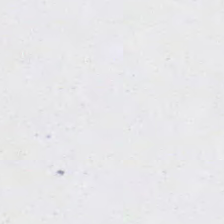Stain: hematoxylin-and-eosin stained section.
Content: background.
